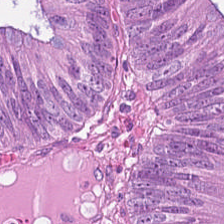H&E-stained tissue section — This patch shows colorectal adenocarcinoma epithelium.
